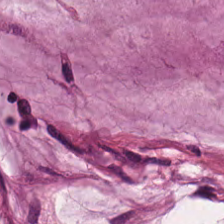224×224 px patch · H&E stain — Tissue = extracellular mucin.
